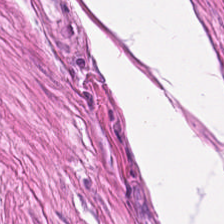Impression — muscularis.
